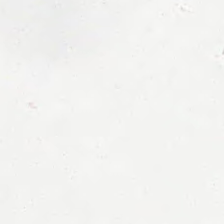H&E — Content — background.
